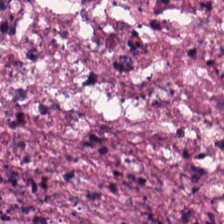Q: What type of tissue is this?
A: This is cellular debris.
